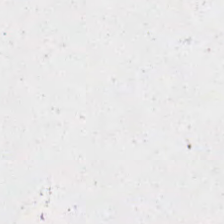Stain: H&E stain.
Classification: no tissue.
